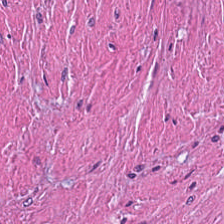Hematoxylin-and-eosin stained section — Predominantly cellular debris.
